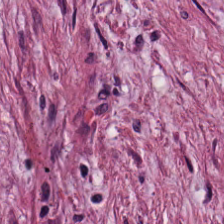H&E — Q: What type of tissue is this?
A: It is tumor stroma.
